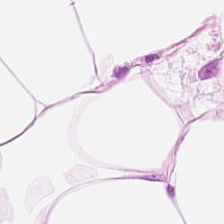H&E — fat tissue.
